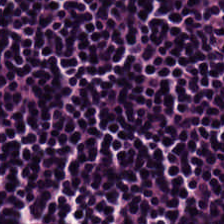H&E — This patch shows lymphocytic infiltrate.
